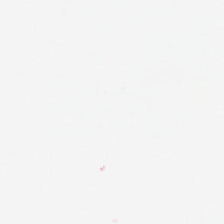H&E-stained tissue section.
This field is background (no tissue).
